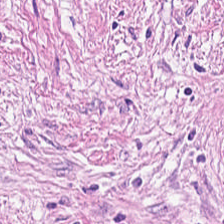Finding — tumor-associated stroma.
